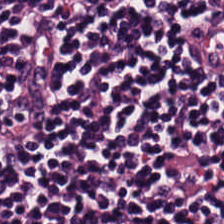Hematoxylin-and-eosin stained section. FFPE tissue section — Impression → lymphocytes.
